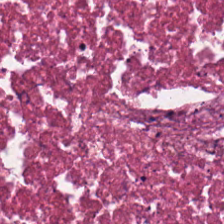FFPE tissue section · H&E stain · 224×224 px tile.
Q: Classify this patch.
A: The field shows cellular debris.
